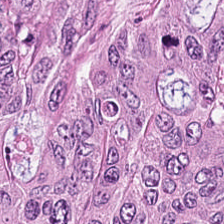Predominantly adenocarcinoma.
